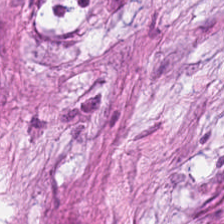H&E.
Q: Identify the tissue.
A: This is tumor-associated stroma.
